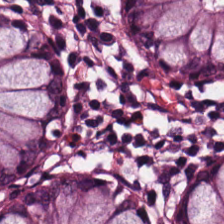Showing normal colonic mucosa.
